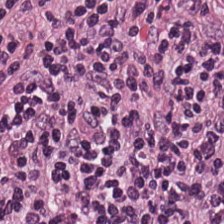H&E · 0.5 µm/px — This field is lymphocytes.
